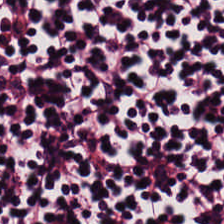Stain: H&E-stained tissue section.
Tissue class: lymphocytes.
